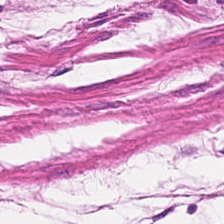Hematoxylin and eosin. Smooth-muscle tissue.
